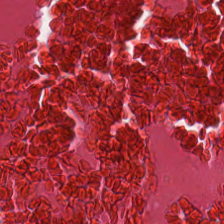H&E-stained tissue section — Tissue class — cellular debris.
